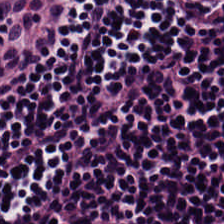Tissue type: lymphocytes.
